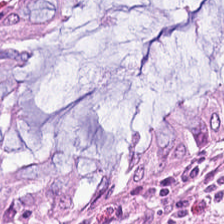H&E — Q: What is shown in this field?
A: The field shows non-neoplastic colon mucosa.
